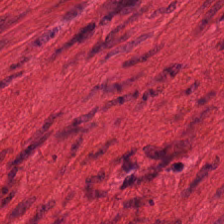The tissue type is smooth muscle.
